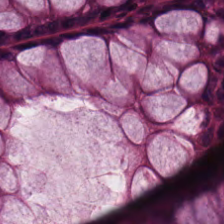H&E — The tissue here is benign colonic mucosa.
